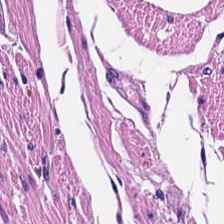Tissue — smooth muscle.
